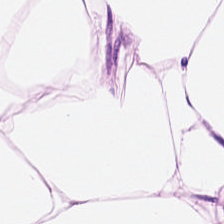Hematoxylin-and-eosin section: adipose.
